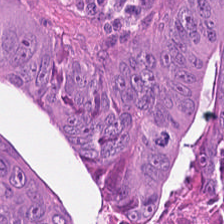Q: Classify this patch.
A: The field shows colorectal adenocarcinoma epithelium.
